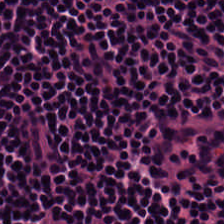H&E. Lymphocytic infiltrate.
